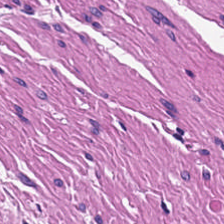Classification — smooth-muscle tissue.
